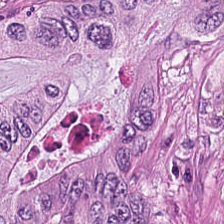H&E. Brightfield microscopy.
This patch shows adenocarcinoma.
